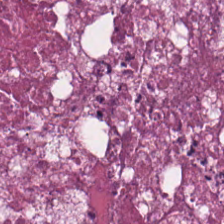FFPE · H&E.
This field is debris.
